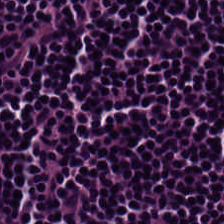Stain: hematoxylin and eosin.
Tile size: 224×224 px tile.
Predominant tissue: lymphocytes.
